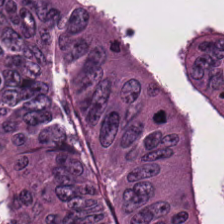Hematoxylin-and-eosin stained section — Q: What is shown here?
A: Colorectal adenocarcinoma.
